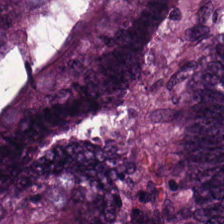Hematoxylin and eosin. Predominant tissue = malignant epithelium.
